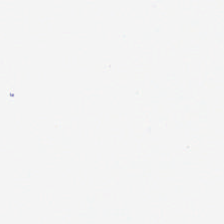Classification = empty background.
